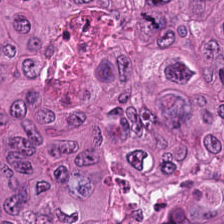0.5 µm/px · FFPE tissue section · H&E stain.
This patch shows colorectal adenocarcinoma epithelium.
